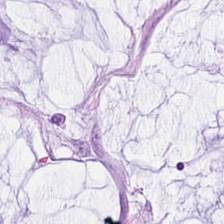20× equivalent magnification · H&E-stained tissue section — This patch shows extracellular mucin.
